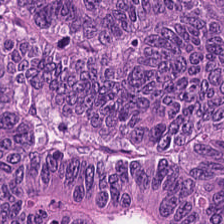This field is tumor epithelium.
